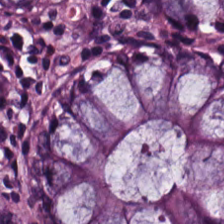Tissue type = normal colon mucosa.
